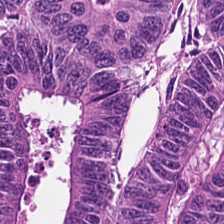H&E stain. This patch shows colorectal adenocarcinoma.
